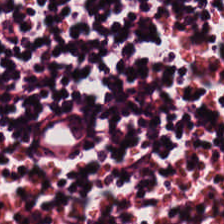Stain: H&E stain.
Predominant tissue: lymphocytes.
